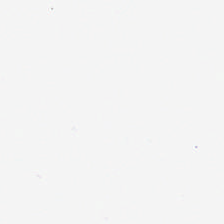H&E-stained tissue section. 224×224 px tile — Q: Classify this patch.
A: This is background.
